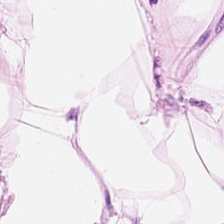Stain: hematoxylin-and-eosin stained section.
Tissue type: adipose.
